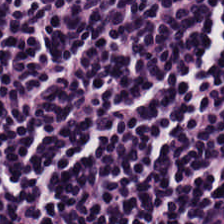This field is lymphocyte aggregate.
